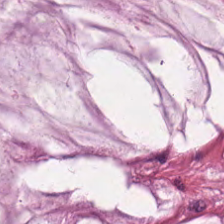H&E stain — Mucin.
